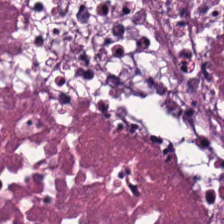Stain: H&E stain.
Tissue type: necrotic debris.
